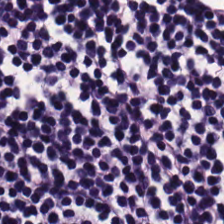H&E-stained tissue section · formalin-fixed paraffin-embedded section · 0.5 µm/px — Q: What type of tissue is this?
A: The field shows lymphocytes.
